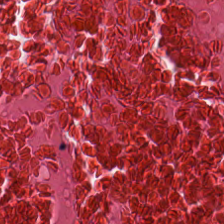Impression — debris.
